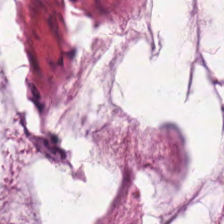Hematoxylin and eosin. Mucin.
